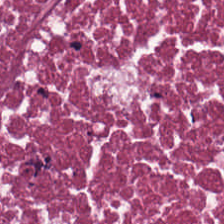H&E stain; brightfield; FFPE tissue section.
Showing cellular debris.
